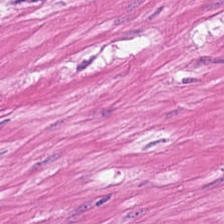H&E. 224×224 pixel tile.
This patch shows smooth-muscle tissue.
